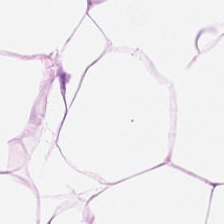Hematoxylin-and-eosin stained section — Q: What does this patch show?
A: Adipocytes.
